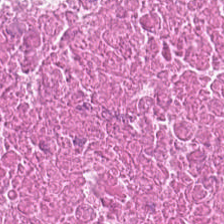Stain: H&E.
Tissue type: cellular debris.
